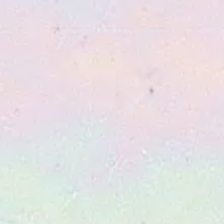Hematoxylin and eosin.
No tissue.
